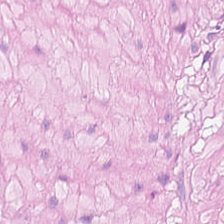Hematoxylin-and-eosin stained section — Predominantly smooth-muscle tissue.
